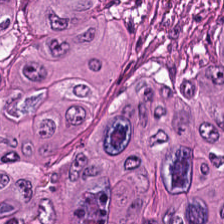Stain: H&E.
Predominant tissue: malignant epithelium.
